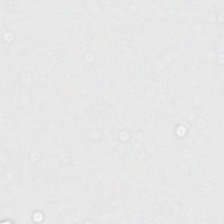H&E. Classification = empty background.
